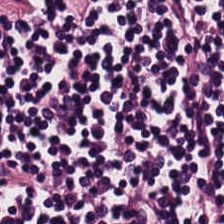Q: Classify this patch.
A: Lymphocyte aggregate.
